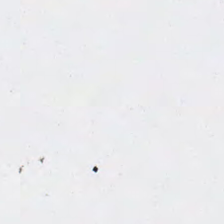WSI patch. Hematoxylin and eosin. Formalin-fixed paraffin-embedded section.
This field is background (no tissue).
